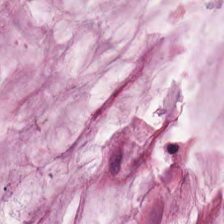H&E; 224×224 px tile.
{"tissue_type": "mucin"}
